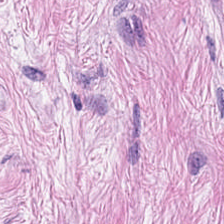Histology — desmoplastic stroma.
